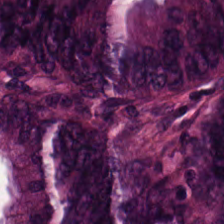H&E. Finding → tumor epithelium.
